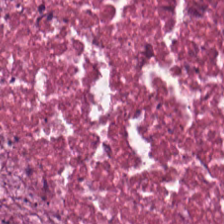Hematoxylin and eosin. Q: What is shown in this field?
A: This is cellular debris.
